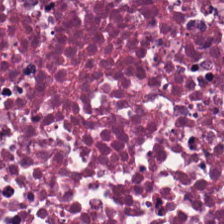Stain: hematoxylin and eosin.
Tissue class: necrotic debris.
